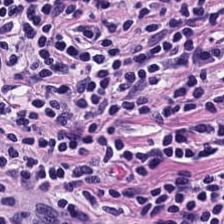H&E stain. Whole-slide-image patch.
Impression — lymphocytic infiltrate.
